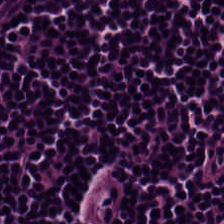Stain: hematoxylin-and-eosin stained section.
Resolution: 0.5 microns per pixel.
Classification: lymphocytic infiltrate.
